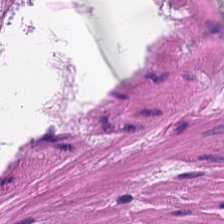H&E-stained tissue section. 0.5 µm per pixel — The predominant tissue is muscularis.
